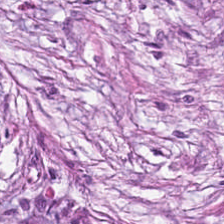Hematoxylin-and-eosin stained section.
Impression → desmoplastic stroma.
